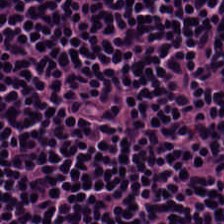H&E stain. FFPE. Q: What type of tissue is this?
A: It is lymphocytic infiltrate.
